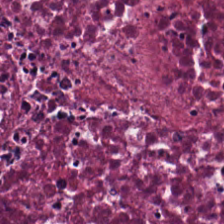Stain: hematoxylin-and-eosin stained section.
Predominant tissue: debris.
